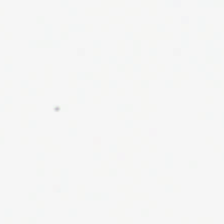The field content is background (no tissue).
